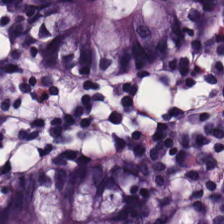224×224 pixel tile · hematoxylin and eosin. {"tissue_type": "non-neoplastic colon mucosa"}
